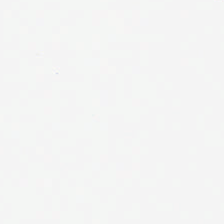Hematoxylin and eosin — No tissue present; background only.
